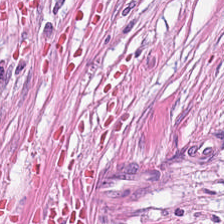0.5 µm/px · H&E stain. Q: What does this patch show?
A: This is cancer-associated stroma.
